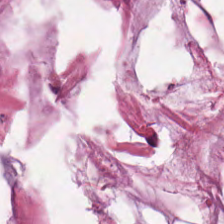H&E.
Q: What is shown in this field?
A: The field shows mucin.
